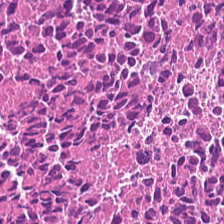H&E — cellular debris.
